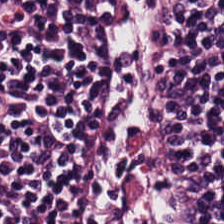Stain: hematoxylin-and-eosin stained section.
Preparation: FFPE tissue section.
Tissue: lymphocyte aggregate.
